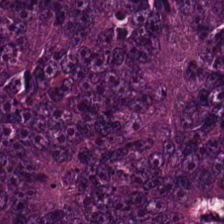FFPE tissue section. Hematoxylin-and-eosin stained section. Impression → adenocarcinoma.
